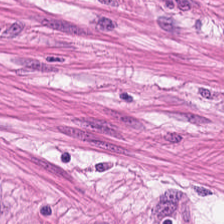Tissue type = smooth muscle.
